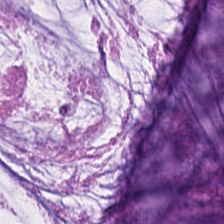H&E — Showing mucin.
